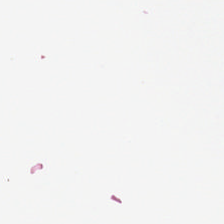H&E stain.
No tissue present; background only.
